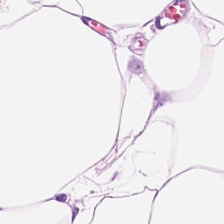Hematoxylin-and-eosin stained section. This field is adipocytes.
